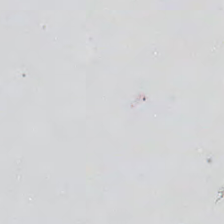Brightfield microscopy · H&E-stained tissue section — Impression — background.
